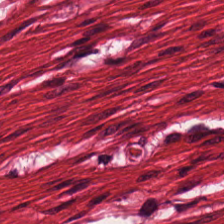Formalin-fixed paraffin-embedded section · H&E · 0.5 µm per pixel. {"tissue_type": "muscularis"}
